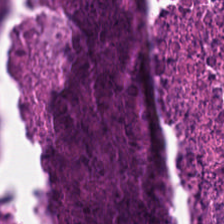Hematoxylin-and-eosin stained section · 224×224 px patch — The predominant tissue is necrotic debris.
